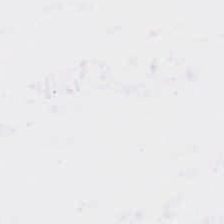FFPE · H&E.
No tissue present; background only.
